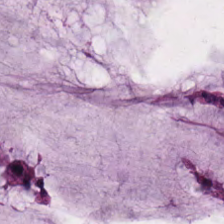Hematoxylin-and-eosin stained section — This patch shows mucus.
